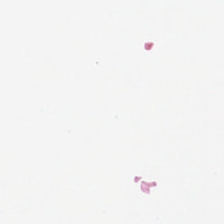Brightfield. H&E stain. 224×224 pixel tile. This patch shows empty background.
